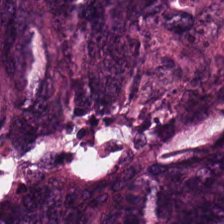Stain: H&E stain.
Classification: tumor epithelium.
